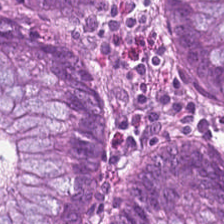H&E — The tissue here is normal colon mucosa.
